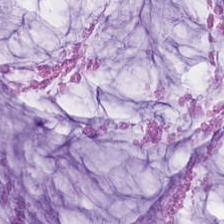H&E — Tissue = mucus.
